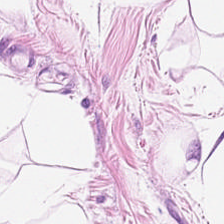Hematoxylin-and-eosin stained section.
Impression — fat tissue.
